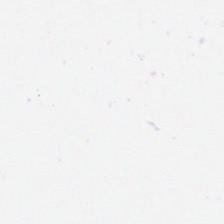Hematoxylin-and-eosin stained section. This field is background (no tissue).
